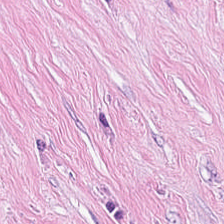224×224 pixel tile; 0.5 µm/px; H&E-stained tissue section. Tissue class: cancer-associated stroma.
